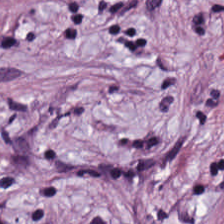H&E. Predominantly tumor-associated stroma.
